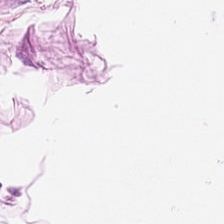H&E-stained tissue section. Finding → fat tissue.
